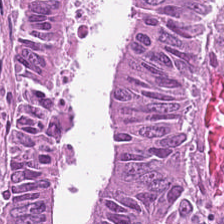0.5 µm per pixel; H&E — Classification = tumor epithelium.
